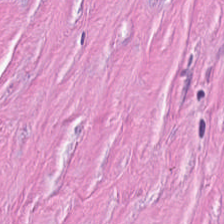Classification: desmoplastic stroma.
